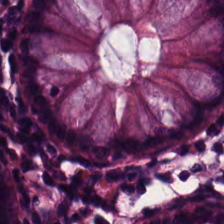H&E-stained tissue section — Predominantly normal colon mucosa.
